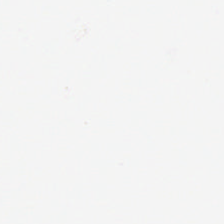Q: What is shown in this field?
A: This is background.
